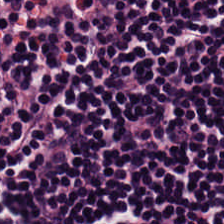Hematoxylin and eosin · whole-slide-image patch. The tissue class is lymphocytic infiltrate.
